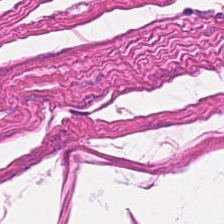The predominant tissue is smooth muscle.
